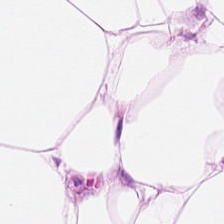Stain: H&E.
Preparation: formalin-fixed paraffin-embedded section.
Tissue class: fat tissue.
